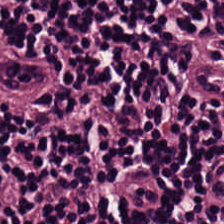The predominant tissue is lymphoid infiltrate.
